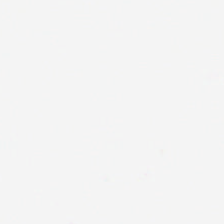H&E.
The classification is empty background.
